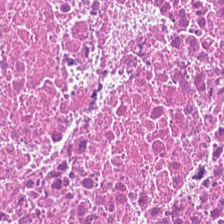H&E stain. {"tissue_type": "cellular debris"}
